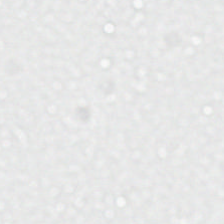Brightfield; hematoxylin-and-eosin stained section.
Background — no tissue in this field.
